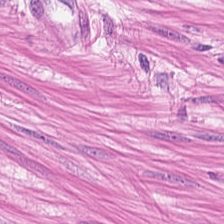FFPE · 0.5 microns per pixel · H&E stain — Predominant tissue — smooth-muscle tissue.
